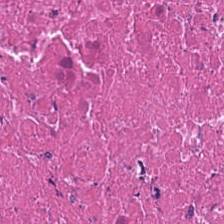224×224 pixel tile. Hematoxylin-and-eosin stained section. Tissue class — debris.
